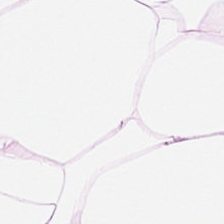H&E-stained tissue section — Histology — adipose.
